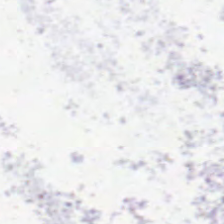0.5 µm/px; hematoxylin and eosin; WSI patch. This field is background (no tissue).
